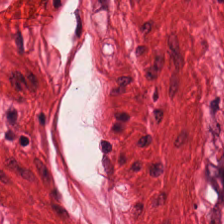H&E patch showing smooth-muscle tissue.
